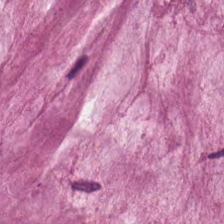0.5 microns per pixel. Hematoxylin-and-eosin stained section. 224×224 px tile — Tissue class = extracellular mucin.
